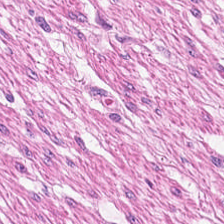Hematoxylin and eosin. The predominant tissue is smooth muscle.
